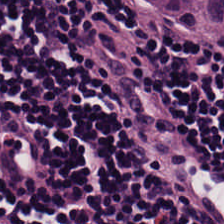Stain: H&E.
Predominant tissue: lymphocyte aggregate.
